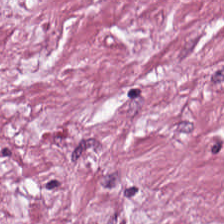H&E. Impression — tumor-associated stroma.
